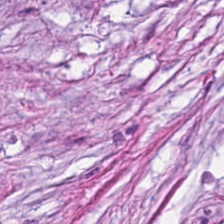Hematoxylin and eosin.
Finding → tumor-associated stroma.
